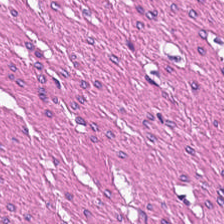224×224 pixel tile · hematoxylin and eosin.
{"tissue_type": "smooth muscle"}
